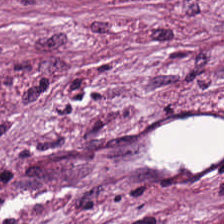FFPE. H&E stain. Whole-slide-image patch.
The predominant tissue is desmoplastic stroma.
